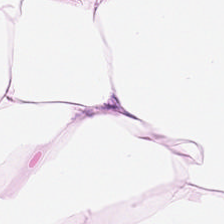Hematoxylin and eosin. Q: Identify the tissue.
A: It is adipose.
